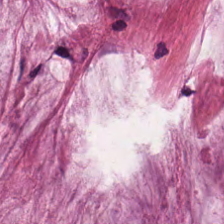H&E stain. The predominant tissue is extracellular mucin.
